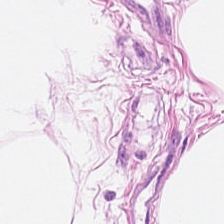Stain: hematoxylin-and-eosin stained section.
Classification: fat tissue.
